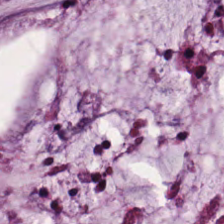H&E-stained tissue section; brightfield microscopy — Q: What tissue is shown?
A: It is mucus.
